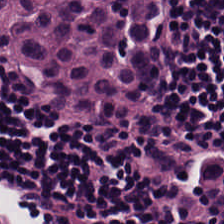Tissue type = lymphocyte aggregate.
